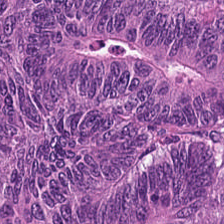H&E-stained tissue section.
Predominant tissue: colorectal adenocarcinoma epithelium.
